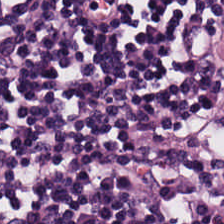Stain: H&E.
Predominant tissue: lymphocytic infiltrate.
